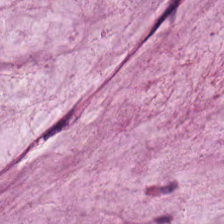Stain: hematoxylin and eosin.
Acquisition: brightfield microscopy.
Predominant tissue: extracellular mucin.
